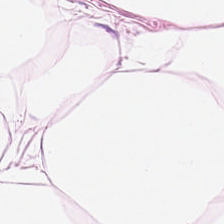Hematoxylin and eosin.
Showing adipose tissue.
